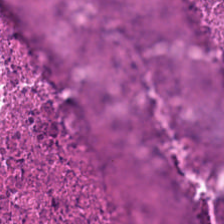Hematoxylin and eosin · 20× equivalent magnification — Q: What does this patch show?
A: It is cellular debris.
